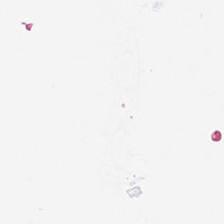Hematoxylin and eosin. Q: Classify this patch.
A: This is empty background.
